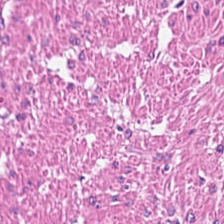H&E-stained tissue section · whole-slide-image patch — Q: Classify this patch.
A: Muscularis.
